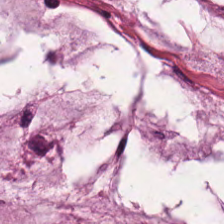Stain: H&E stain.
Tissue type: mucus.
